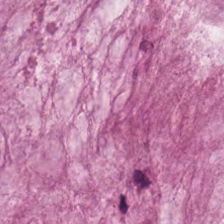H&E.
Q: What tissue is shown?
A: It is mucin.
